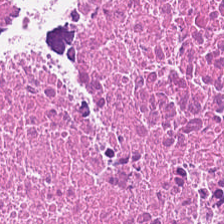Classification — cellular debris.
